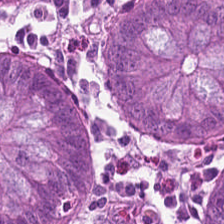H&E stain — Histology → benign colonic mucosa.
